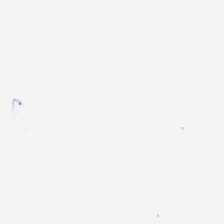Hematoxylin-and-eosin stained section · WSI patch — The classification is no tissue.
